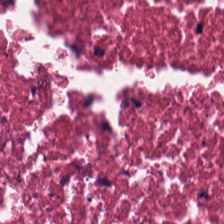H&E-stained section; the field shows debris.
